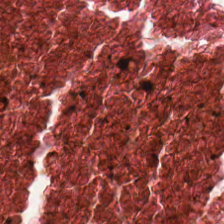Stain: H&E.
Predominant tissue: cellular debris.
